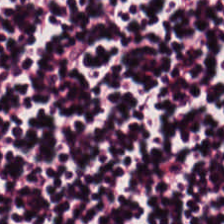224×224 px patch; H&E-stained tissue section; 0.5 µm per pixel.
Q: What is the predominant tissue type?
A: It is lymphoid infiltrate.
